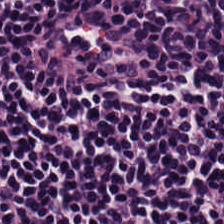H&E. This field is lymphocytic infiltrate.
